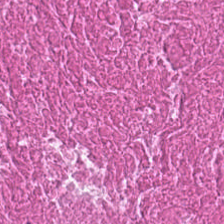H&E — Q: What tissue type is shown here?
A: It is cellular debris.
